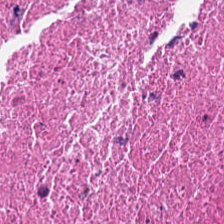Hematoxylin and eosin; brightfield microscopy; 20× equivalent magnification.
The tissue here is necrotic debris.
